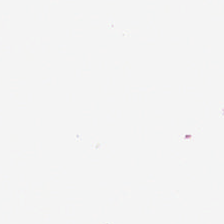H&E stain.
This field is background (no tissue).
